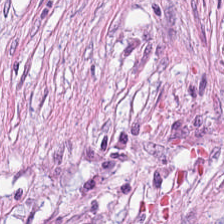H&E.
Tissue: tumor stroma.
